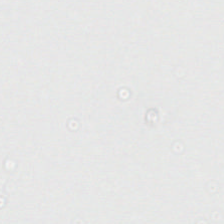H&E stain · 224×224 px tile — Q: What is shown here?
A: This is background.
